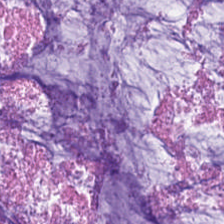Hematoxylin-and-eosin stained section. Predominantly extracellular mucin.
